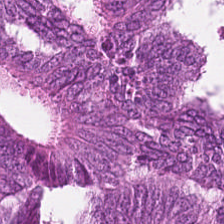Histology — adenocarcinoma.
